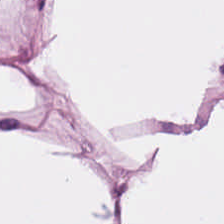Hematoxylin-and-eosin stained section; 224×224 px tile; WSI patch — Adipose tissue.
